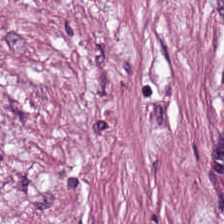Formalin-fixed paraffin-embedded section. Hematoxylin-and-eosin stained section.
Finding — desmoplastic stroma.
